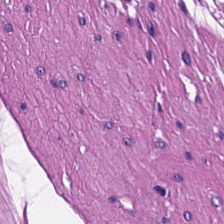Hematoxylin and eosin — Tissue: smooth muscle.
